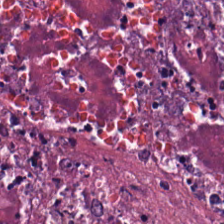Histology — necrotic debris.
